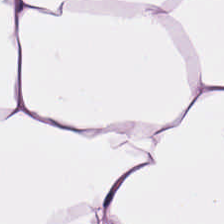H&E stain. The tissue type is adipose tissue.
